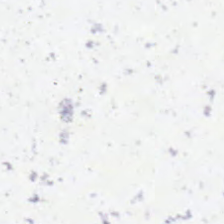224×224 px patch. WSI patch. Hematoxylin and eosin. This field is background (no tissue).
